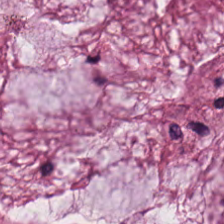H&E-stained tissue section. Q: What tissue is shown?
A: The field shows mucin.
